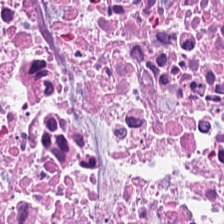Impression — necrotic debris.
